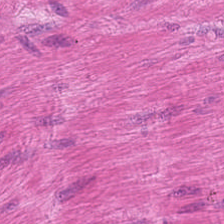The classification is smooth-muscle tissue.
